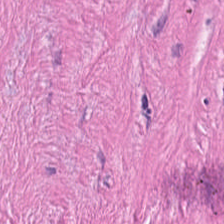Stain: H&E-stained tissue section.
Predominant tissue: tumor stroma.
